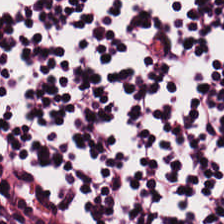The classification is lymphocytes.
